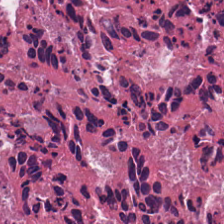0.5 µm per pixel; H&E stain. Q: Identify the tissue.
A: The field shows cellular debris.
